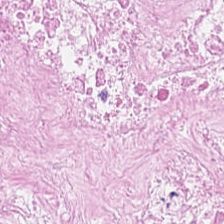Hematoxylin-and-eosin stained section.
Q: What tissue type is shown here?
A: Cellular debris.
